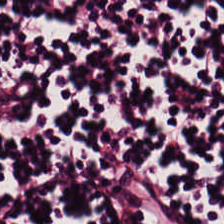20× equivalent magnification. Hematoxylin and eosin — Tissue class = lymphocytic infiltrate.
